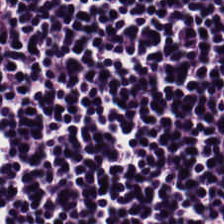Hematoxylin-and-eosin stained section. Tissue class — lymphocytic infiltrate.
